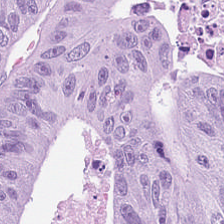H&E-stained tissue section. Q: Classify this patch.
A: Colorectal adenocarcinoma epithelium.
